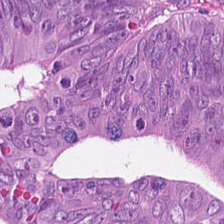Q: What is the predominant tissue type?
A: It is adenocarcinoma.
